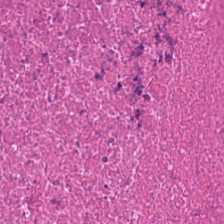H&E stain. The tissue here is necrotic debris.
